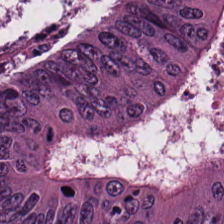Finding → tumor epithelium.
